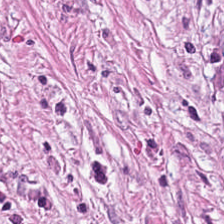Stain: hematoxylin and eosin.
Classification: tumor stroma.
